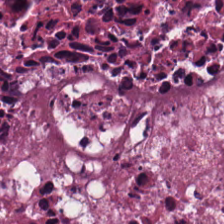H&E stain; 0.5 microns per pixel — Classification = cellular debris.
